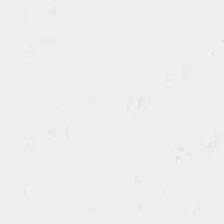Content — background.
